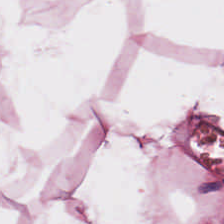0.5 µm per pixel; FFPE; hematoxylin-and-eosin stained section.
Classification: adipose tissue.
